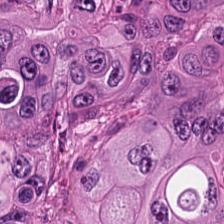Brightfield microscopy; 224×224 pixel tile; H&E-stained tissue section.
Showing adenocarcinoma.
